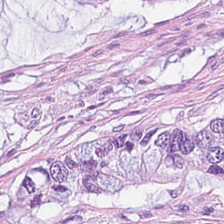H&E-stained tissue section — Q: What tissue is shown?
A: The field shows mucin.
